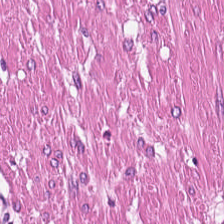Hematoxylin-and-eosin section: muscularis.
